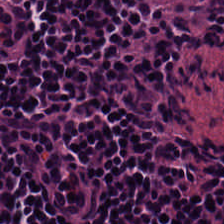H&E; 224×224 px patch; 0.5 microns per pixel — Q: What is the predominant tissue type?
A: It is lymphoid infiltrate.
